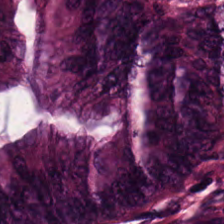Hematoxylin and eosin.
Finding — tumor epithelium.
